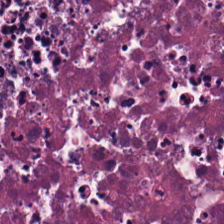H&E-stained tissue section · 0.5 microns per pixel · WSI patch. The tissue here is debris.
